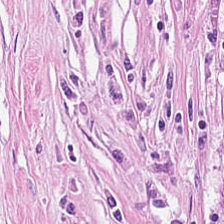Stain: hematoxylin and eosin.
Resolution: 0.5 µm/px.
Tissue type: cancer-associated stroma.
